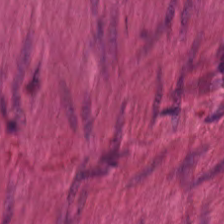H&E stain. This patch shows muscularis.
